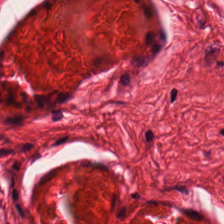0.5 µm per pixel. FFPE. Hematoxylin-and-eosin stained section. Predominantly smooth-muscle tissue.
